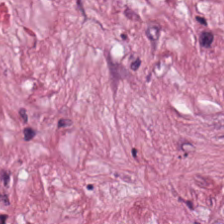Hematoxylin-and-eosin stained section; WSI patch; FFPE. Showing tumor stroma.
